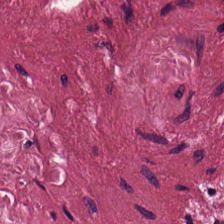Tissue type: tumor stroma.
